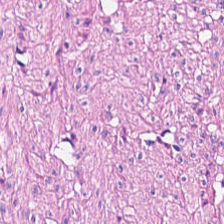Whole-slide-image patch · FFPE tissue section · hematoxylin-and-eosin stained section — Smooth muscle.
